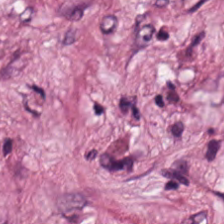H&E-stained tissue section showing cancer-associated stroma.
